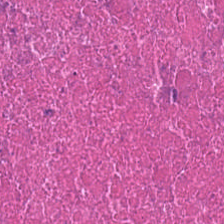Stain: hematoxylin-and-eosin stained section.
Tile size: 224×224 px tile.
Predominant tissue: cellular debris.
